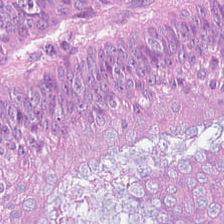H&E — Classification — malignant epithelium.
